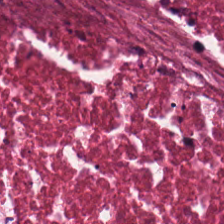H&E-stained tissue section — Q: Classify this patch.
A: This is debris.
